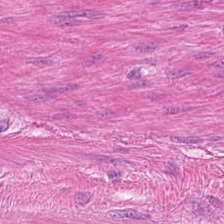Hematoxylin-and-eosin stained section; 224×224 pixel tile.
This patch shows muscularis.
